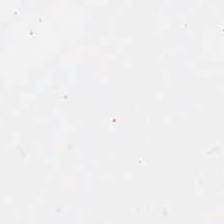Hematoxylin-and-eosin stained section.
Q: What is shown in this field?
A: The field shows background.
